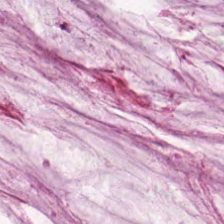Tissue class — extracellular mucin.
